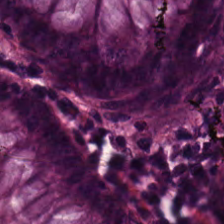Tissue = normal colon mucosa.
